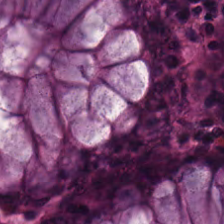Predominantly non-neoplastic colon mucosa.
